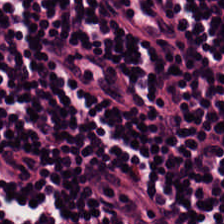H&E — Q: What tissue is shown?
A: It is lymphoid infiltrate.
